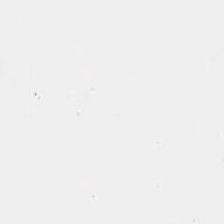H&E-stained tissue section — Content = background (no tissue).
